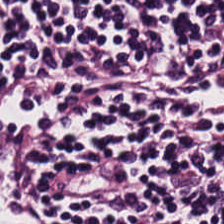Hematoxylin-and-eosin stained section.
Classification: lymphocytes.
